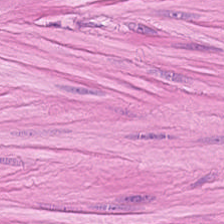H&E stain. Classification — smooth muscle.
